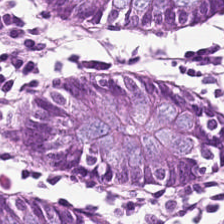H&E. Classification = benign colonic mucosa.
